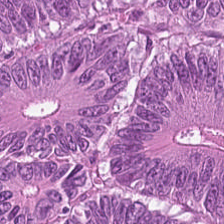H&E-stained tissue section. Tumor epithelium.
